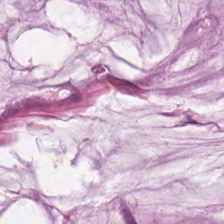Stain: H&E.
Tissue: mucin.
